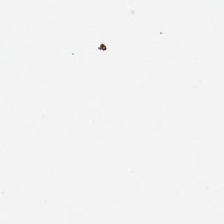Q: Classify this patch.
A: No tissue.
